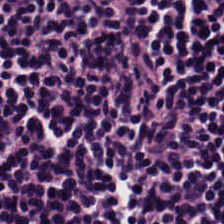Whole-slide-image patch; 224×224 pixel tile; hematoxylin and eosin — Q: Classify this patch.
A: This is lymphoid infiltrate.
